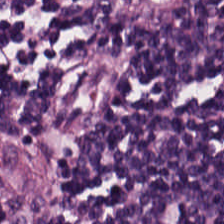Brightfield microscopy. H&E — This patch shows lymphocytic infiltrate.
